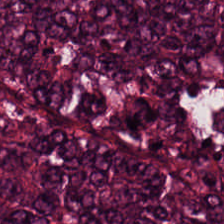Hematoxylin and eosin — Tissue type = adenocarcinoma.
